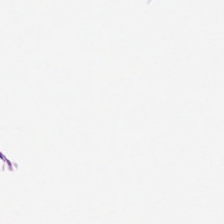Hematoxylin and eosin.
Adipocytes.
